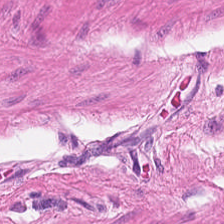H&E-stained tissue section — Histology → muscularis.
